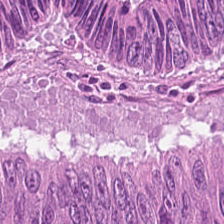Colorectal adenocarcinoma.
